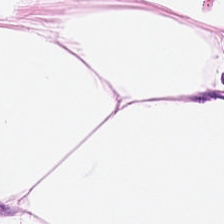H&E-stained tissue section.
Adipose tissue.
